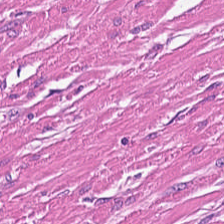H&E.
Tissue = smooth muscle.
